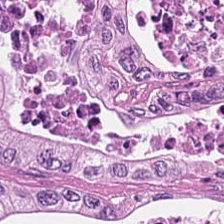Q: What tissue is shown?
A: It is tumor epithelium.
